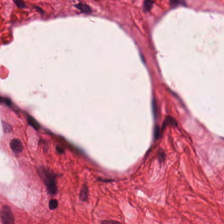Histology — smooth muscle.
